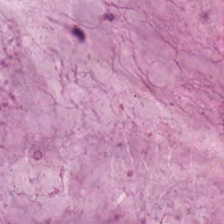H&E-stained section; the field shows mucin.
